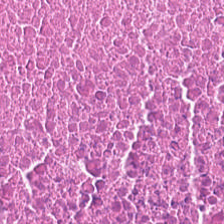Brightfield. H&E-stained tissue section. 224×224 px patch. Showing debris.
